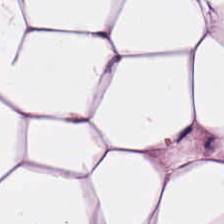Stain: H&E-stained tissue section.
Classification: adipocytes.
